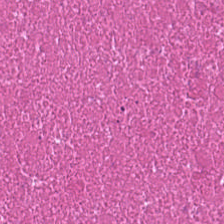H&E. Whole-slide-image patch. 20× equivalent magnification — This field is necrotic debris.
